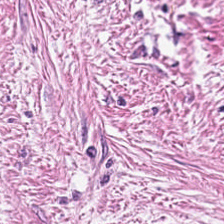WSI patch. Hematoxylin and eosin. 20× equivalent magnification. Classification: tumor stroma.
